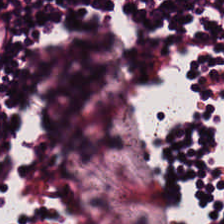{"tissue_type": "lymphoid infiltrate"}
